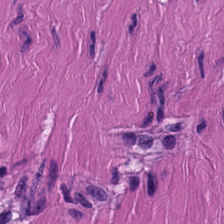224×224 px tile. Hematoxylin-and-eosin stained section. 20× equivalent magnification.
Classification: smooth muscle.
